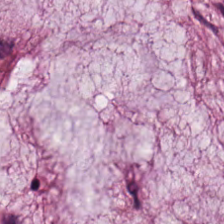H&E-stained section; the field shows extracellular mucin.
